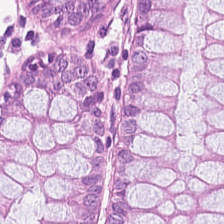Finding — non-neoplastic colon mucosa.
